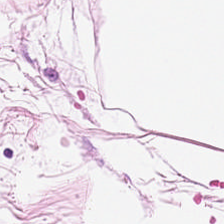224×224 pixel tile. FFPE. Hematoxylin-and-eosin stained section.
Impression → adipocytes.
